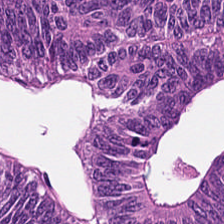Hematoxylin and eosin; FFPE. This patch shows tumor epithelium.
